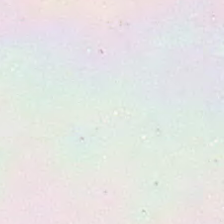Hematoxylin and eosin.
Background (no tissue).
